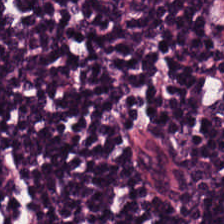Q: Identify the tissue.
A: It is lymphocytic infiltrate.
